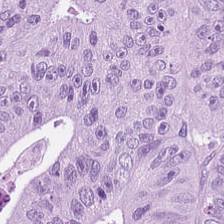Finding → adenocarcinoma.
